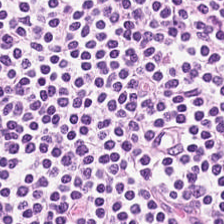Tissue class — lymphoid infiltrate.
